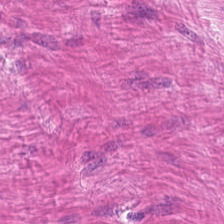H&E-stained tissue section showing muscularis.
